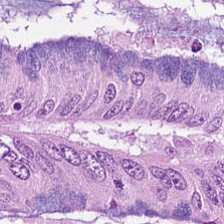H&E-stained tissue section. 224×224 pixel tile. FFPE tissue section.
The predominant tissue is colorectal adenocarcinoma epithelium.
